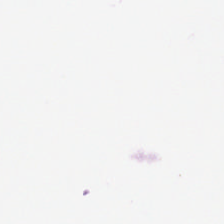The field content is background (no tissue).
